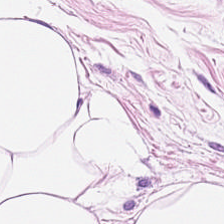H&E-stained tissue section.
Showing adipose tissue.
